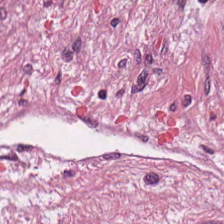H&E-stained tissue section. 0.5 µm per pixel.
Q: What is the predominant tissue type?
A: It is desmoplastic stroma.
